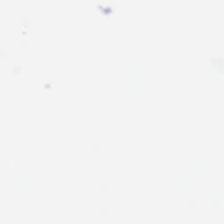H&E stain — Q: What is shown here?
A: The field shows background (no tissue).
